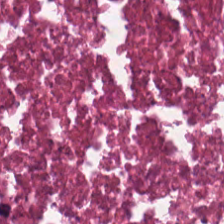Hematoxylin and eosin.
Showing necrotic debris.
